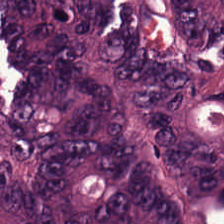Hematoxylin and eosin. Tissue: colorectal adenocarcinoma epithelium.
